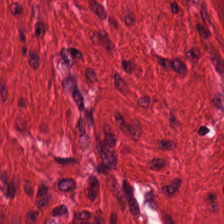H&E-stained tissue section — Predominantly smooth muscle.
